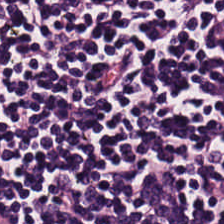Hematoxylin and eosin. Tissue type = lymphoid infiltrate.
